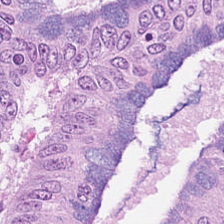Hematoxylin-and-eosin stained section. Q: What tissue type is shown here?
A: It is colorectal adenocarcinoma.
